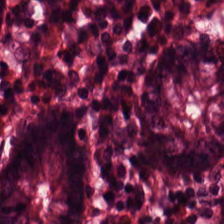H&E stain; 224×224 px tile; brightfield.
Normal colonic mucosa.
